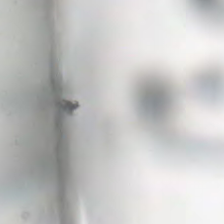Classification = background (no tissue).
